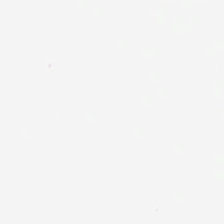H&E-stained tissue section. Q: What is shown in this field?
A: The field shows background (no tissue).
